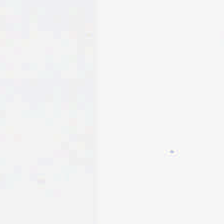0.5 µm per pixel. Brightfield microscopy. Hematoxylin-and-eosin stained section.
This field is background (no tissue).
